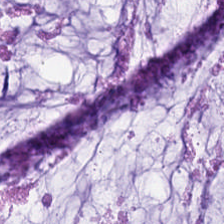Q: Identify the tissue.
A: This is mucus.
